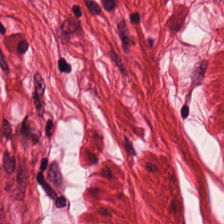Hematoxylin-and-eosin stained section. Showing muscularis.
